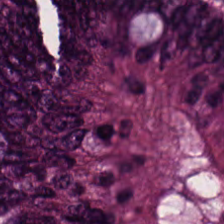0.5 µm/px; brightfield microscopy; H&E — Finding — colorectal adenocarcinoma epithelium.
